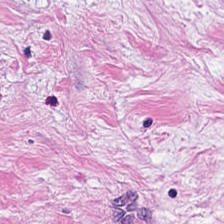H&E-stained tissue section. This field is tumor-associated stroma.
